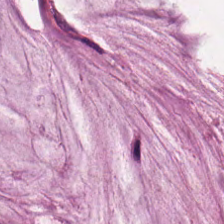224×224 px tile; FFPE; H&E stain.
Showing mucus.
